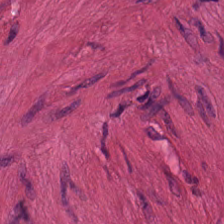H&E; 224×224 px patch; brightfield.
Impression — smooth-muscle tissue.
